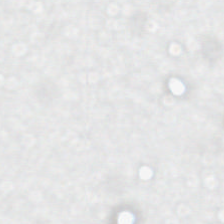H&E stain. Q: What is shown in this field?
A: It is background (no tissue).
